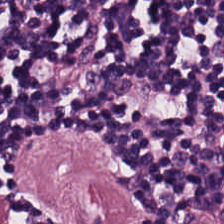Predominant tissue = lymphocyte aggregate.
